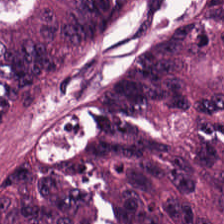H&E — Adenocarcinoma.
